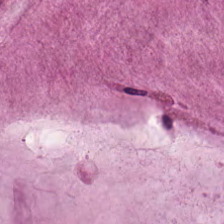The predominant tissue is mucus.
